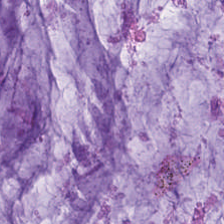Q: What does this patch show?
A: It is mucin.
